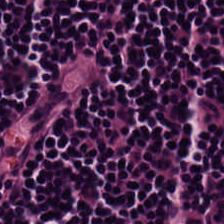H&E. The predominant tissue is lymphocytic infiltrate.
